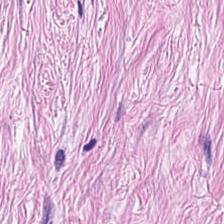0.5 µm/px; FFPE tissue section; hematoxylin and eosin. Tissue type: tumor stroma.
